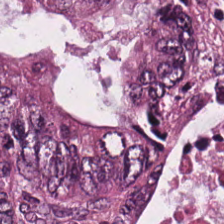Stain: hematoxylin-and-eosin stained section.
Classification: tumor epithelium.
